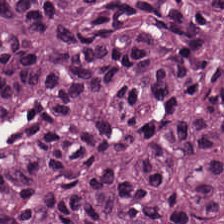Brightfield microscopy · H&E.
This field is colorectal adenocarcinoma epithelium.
